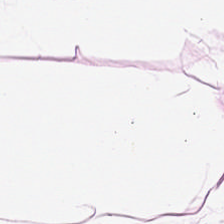0.5 microns per pixel · H&E. The tissue type is fat tissue.
